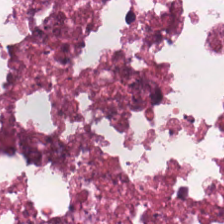H&E. Cellular debris.
